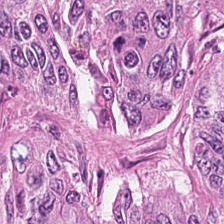Hematoxylin and eosin; FFPE tissue section — The tissue class is colorectal adenocarcinoma.
